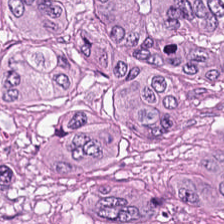This field is colorectal adenocarcinoma.
